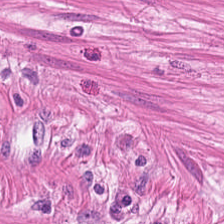The tissue here is muscularis.
